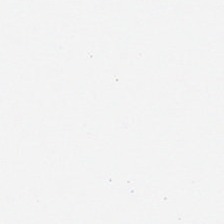Whole-slide-image patch; H&E stain.
Q: What is shown in this field?
A: It is no tissue.
